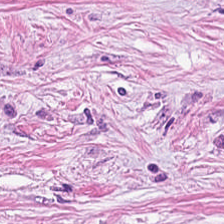224×224 pixel tile · hematoxylin and eosin.
The predominant tissue is desmoplastic stroma.
